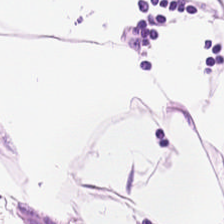224×224 pixel tile. Hematoxylin-and-eosin stained section. 0.5 µm per pixel.
Predominant tissue — adipose tissue.
